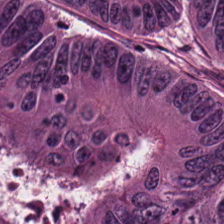FFPE. H&E. This patch shows colorectal adenocarcinoma epithelium.
